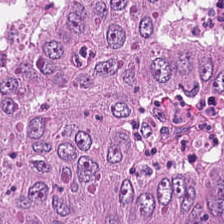Hematoxylin and eosin. Impression — malignant epithelium.
